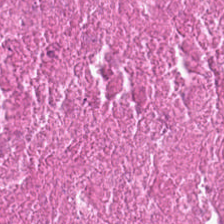Hematoxylin and eosin. Tissue — necrotic debris.
